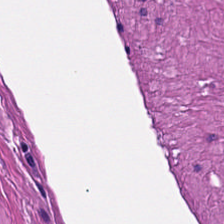Hematoxylin-and-eosin section: smooth-muscle tissue.
